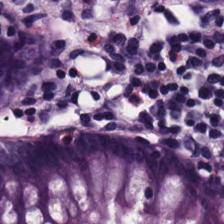H&E-stained tissue section; brightfield microscopy; 224×224 px patch.
The predominant tissue is normal colonic mucosa.
